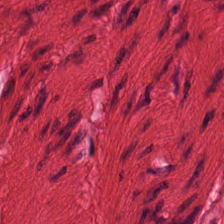FFPE tissue section · H&E — The predominant tissue is muscularis.
